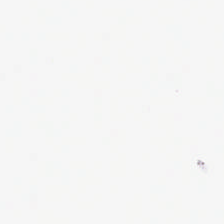H&E-stained tissue section. Brightfield microscopy — Histology — background.
